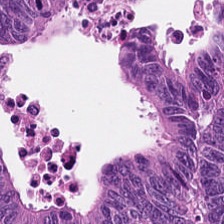H&E-stained section; the field shows adenocarcinoma.
